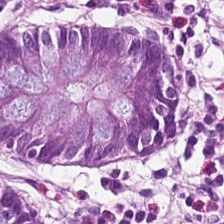224×224 px patch; H&E-stained tissue section. Q: What does this patch show?
A: The field shows normal colonic mucosa.
